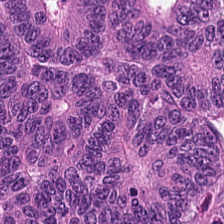0.5 µm per pixel · H&E stain — Tissue class = tumor epithelium.
